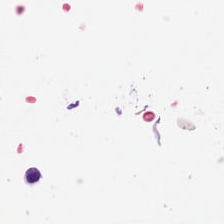No tissue present; background only.
